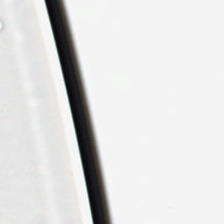224×224 px patch; H&E-stained tissue section; brightfield. Q: Classify this patch.
A: No tissue.
